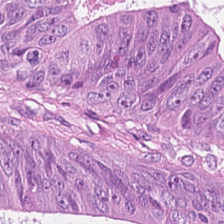H&E-stained section; the field shows adenocarcinoma.
